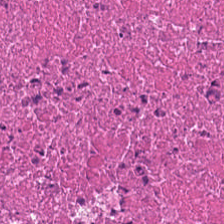This field is necrotic debris.
